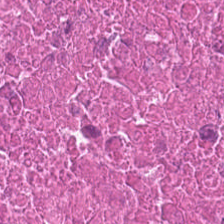224×224 px tile · H&E · 20× equivalent magnification — This field is cellular debris.
